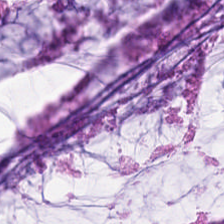Q: Identify the tissue.
A: This is extracellular mucin.
